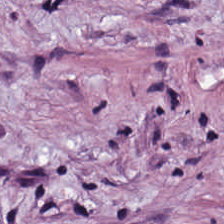H&E stain.
Tumor-associated stroma.
